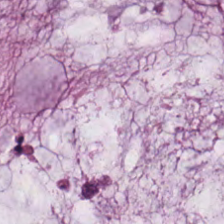Brightfield · hematoxylin and eosin — This patch shows extracellular mucin.
